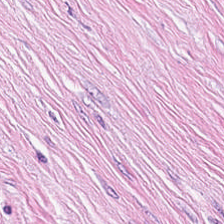H&E; 224×224 px patch.
Q: What is shown here?
A: The field shows tumor stroma.
